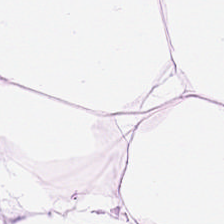H&E. The tissue is fat tissue.
